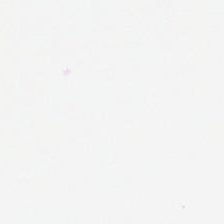Stain: H&E stain.
Tile size: 224×224 pixel tile.
Field content: no tissue.
